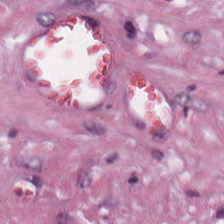Impression — tumor-associated stroma.
